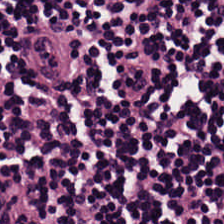Whole-slide-image patch · hematoxylin-and-eosin stained section — Showing lymphocytic infiltrate.
